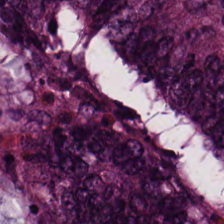H&E-stained tissue section · brightfield microscopy.
Q: What tissue type is shown here?
A: Tumor epithelium.
